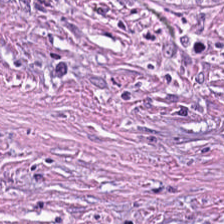Stain: H&E-stained tissue section.
Predominant tissue: desmoplastic stroma.
